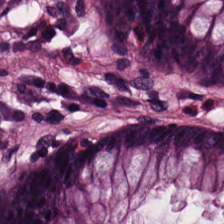Stain: H&E stain.
Resolution: 0.5 microns per pixel.
Tile size: 224×224 px tile.
Tissue: normal colonic mucosa.
